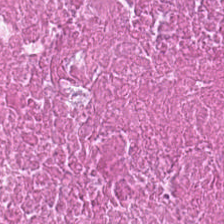H&E; 0.5 µm per pixel. Q: What does this patch show?
A: It is necrotic debris.
